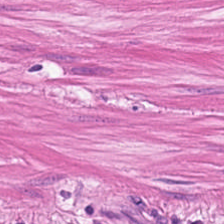Stain: H&E.
Tissue: smooth muscle.
